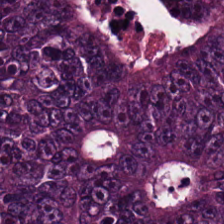Hematoxylin-and-eosin stained section. 224×224 px tile.
This field is malignant epithelium.
